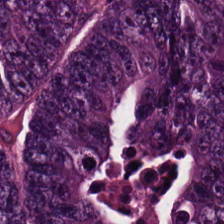Hematoxylin-and-eosin stained section — Q: What is the predominant tissue type?
A: It is colorectal adenocarcinoma epithelium.
